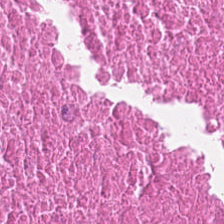Hematoxylin-and-eosin stained section · 224×224 pixel tile. The predominant tissue is necrotic debris.
